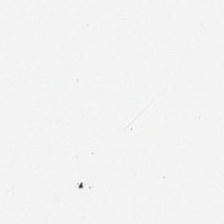Stain: hematoxylin and eosin.
Content: background.
